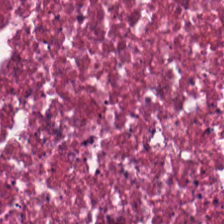The predominant tissue is cellular debris.
